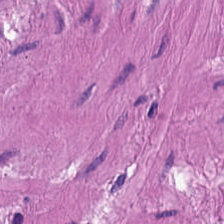Q: Classify this patch.
A: This is muscularis.
